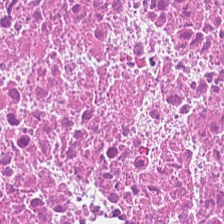0.5 µm per pixel · H&E-stained tissue section.
Tissue = necrotic debris.
